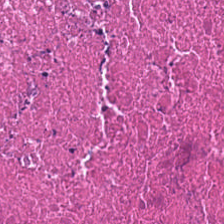Histology → cellular debris.
